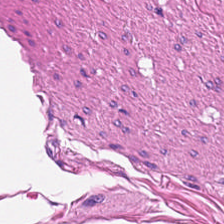H&E-stained tissue section · brightfield.
Tissue type — muscularis.
